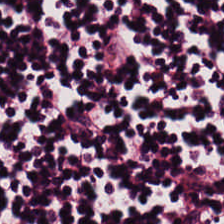Brightfield; hematoxylin and eosin. Q: What is shown here?
A: The field shows lymphocyte aggregate.
